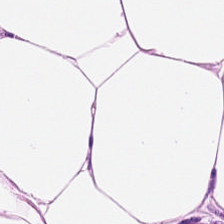Hematoxylin and eosin.
This patch shows adipose tissue.
